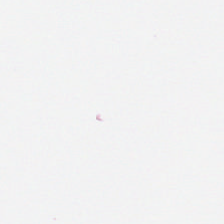Hematoxylin-and-eosin stained section · 0.5 µm per pixel · 224×224 px patch.
Content: no tissue.
